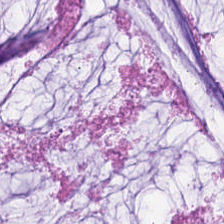Hematoxylin-and-eosin stained section.
Q: What tissue is shown?
A: The field shows mucin.
